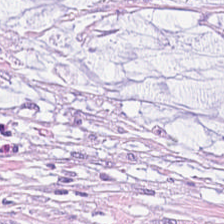Hematoxylin-and-eosin stained section; FFPE tissue section — Predominantly mucus.
